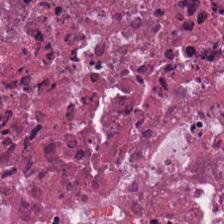H&E-stained tissue section.
The predominant tissue is debris.
